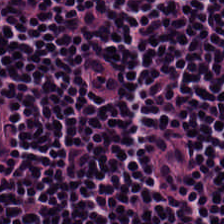Tissue class = lymphoid infiltrate.
